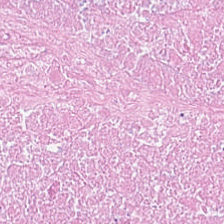H&E stain. The classification is debris.
